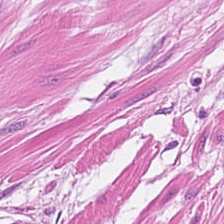Hematoxylin-and-eosin stained section — This field is smooth muscle.
